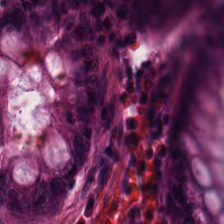Hematoxylin and eosin.
Tissue class — normal colon mucosa.
